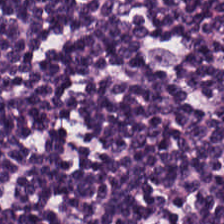Predominantly lymphoid infiltrate.
